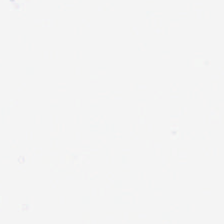Q: What does this patch show?
A: Background.
